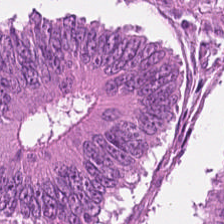Hematoxylin-and-eosin stained section; 0.5 µm/px. Q: What tissue type is shown here?
A: Colorectal adenocarcinoma.
